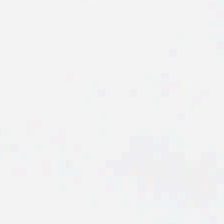Field content: no tissue.
